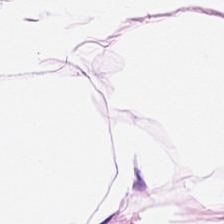H&E. This field is adipose tissue.
